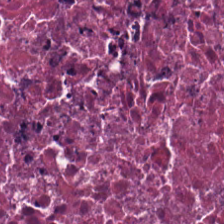Hematoxylin and eosin. This field is debris.
